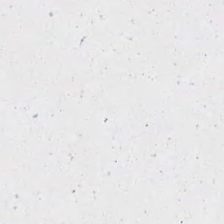Stain: H&E stain.
Content: empty background.
